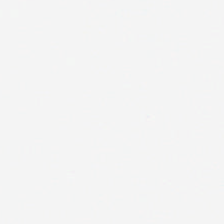Q: What does this patch show?
A: No tissue.
